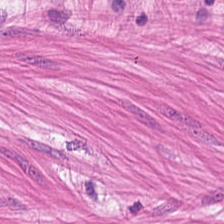224×224 pixel tile. FFPE. Hematoxylin and eosin — Tissue class: smooth muscle.
